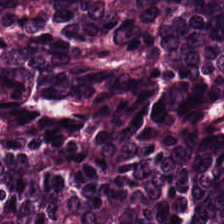H&E-stained section; the field shows colorectal adenocarcinoma.
